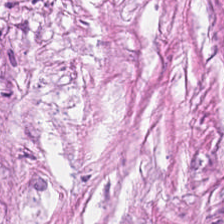WSI patch; H&E stain — Predominantly tumor-associated stroma.
